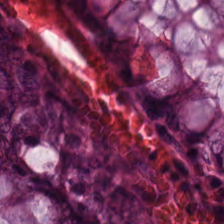Classification: normal colon mucosa.
